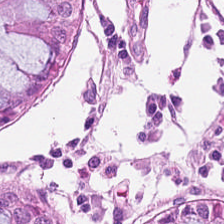Hematoxylin-and-eosin stained section. Tissue: normal colon mucosa.
